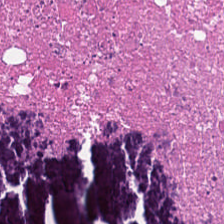Hematoxylin-and-eosin section: debris.
